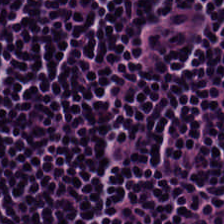H&E. Predominant tissue: lymphocytic infiltrate.
